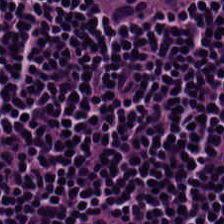Hematoxylin and eosin — Tissue class: lymphocytic infiltrate.
